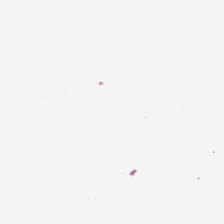Hematoxylin-and-eosin stained section — No tissue present; background only.
